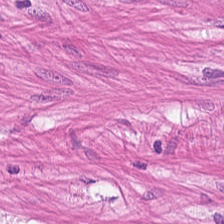H&E-stained tissue section.
Tissue = muscularis.
